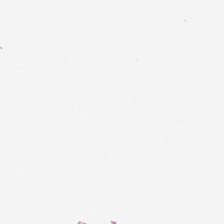Stain: hematoxylin-and-eosin stained section.
Tile size: 224×224 pixel tile.
Preparation: FFPE.
Field content: background (no tissue).
